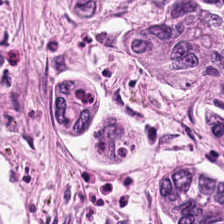224×224 px tile · hematoxylin and eosin. {"tissue_type": "colorectal adenocarcinoma"}
